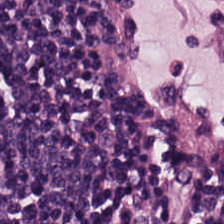H&E. The predominant tissue is lymphoid infiltrate.
